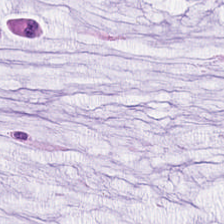H&E; FFPE tissue section. Q: What type of tissue is this?
A: The field shows mucin.
